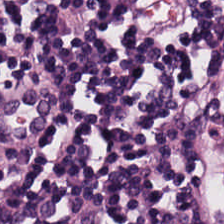Showing lymphocytic infiltrate.
